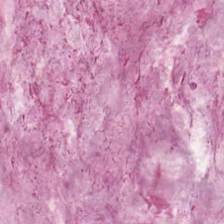Showing extracellular mucin.
